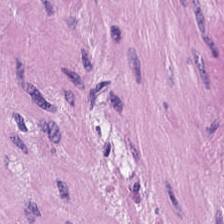The predominant tissue is smooth muscle.
